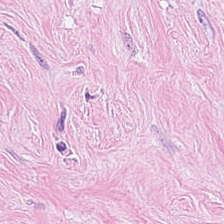WSI patch. Hematoxylin-and-eosin stained section. Formalin-fixed paraffin-embedded section — The predominant tissue is tumor stroma.
